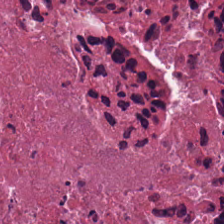Hematoxylin-and-eosin stained section — This field is debris.
